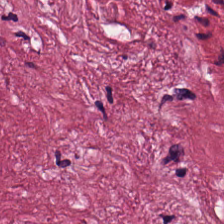H&E stain.
The tissue here is desmoplastic stroma.
